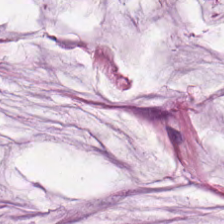Hematoxylin and eosin.
The predominant tissue is extracellular mucin.
